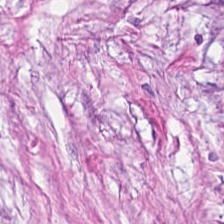Brightfield microscopy. Hematoxylin and eosin.
Predominantly cancer-associated stroma.
